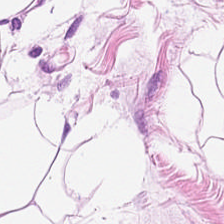H&E-stained tissue section showing adipose.
